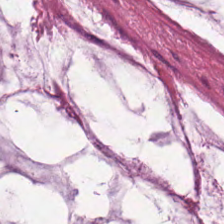H&E-stained tissue section — Showing mucus.
